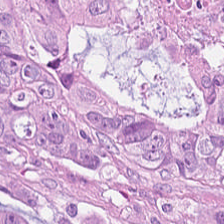FFPE tissue section · 20× equivalent magnification · H&E-stained tissue section — Tissue — colorectal adenocarcinoma.
